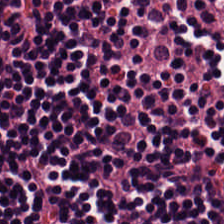Q: Classify this patch.
A: This is lymphocytic infiltrate.
